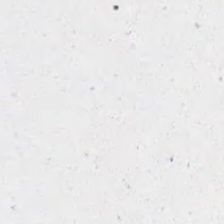Stain: H&E stain.
Field content: no tissue.
